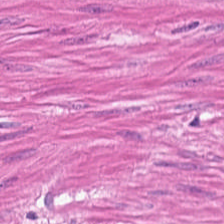H&E.
{"tissue_type": "smooth-muscle tissue"}
